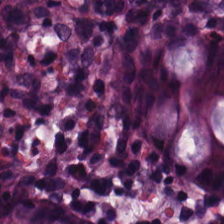0.5 microns per pixel · H&E stain · FFPE.
Tissue = non-neoplastic colon mucosa.
